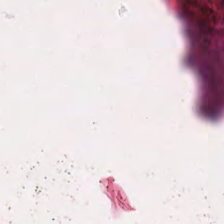Hematoxylin-and-eosin stained section. Tissue type — necrotic debris.
